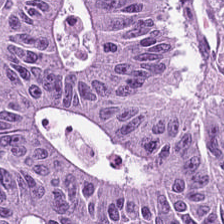Hematoxylin and eosin; formalin-fixed paraffin-embedded section — Predominantly adenocarcinoma.
